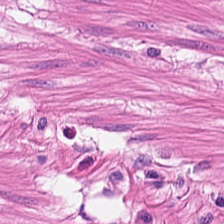0.5 µm/px · H&E.
The classification is smooth muscle.
